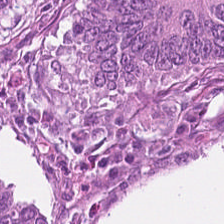Hematoxylin-and-eosin stained section · 224×224 px patch.
This field is adenocarcinoma.
